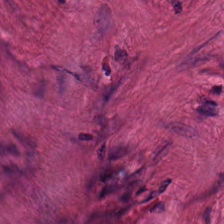Stain: H&E stain.
Resolution: 0.5 microns per pixel.
Predominant tissue: muscularis.
